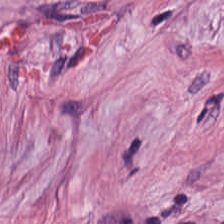Formalin-fixed paraffin-embedded section · brightfield · H&E-stained tissue section — Classification — tumor-associated stroma.
